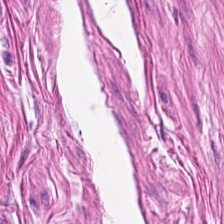H&E — Classification — muscularis.
